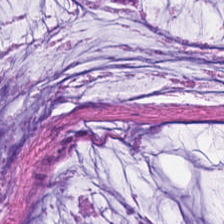Stain: H&E stain.
Tile size: 224×224 px patch.
Predominant tissue: mucin.
